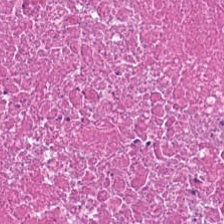224×224 pixel tile; hematoxylin and eosin.
Q: What does this patch show?
A: The field shows necrotic debris.
